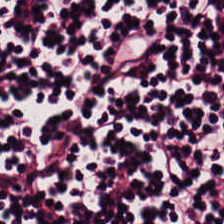H&E.
This field is lymphoid infiltrate.
